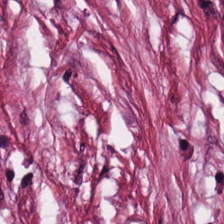Classification: tumor-associated stroma.
